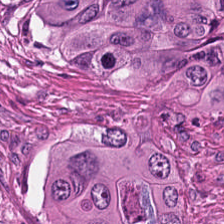Stain: H&E stain.
Preparation: FFPE tissue section.
Tissue class: colorectal adenocarcinoma epithelium.
